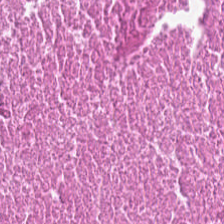Stain: H&E.
Preparation: FFPE tissue section.
Resolution: 20× equivalent magnification.
Classification: necrotic debris.
